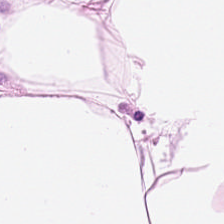H&E-stained tissue section.
Showing adipose.
